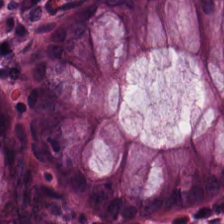Stain: H&E.
Classification: normal colonic mucosa.
